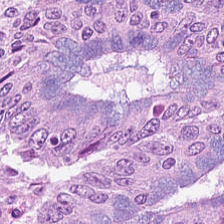Stain: H&E-stained tissue section.
Tile size: 224×224 pixel tile.
Resolution: 0.5 µm/px.
Tissue class: colorectal adenocarcinoma.
